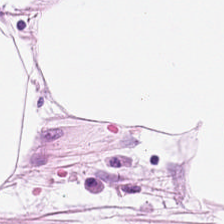Hematoxylin and eosin. Q: Identify the tissue.
A: It is adipose tissue.
